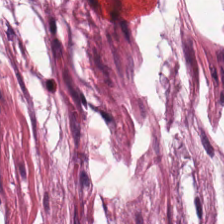H&E; 0.5 µm per pixel.
The tissue here is mucin.
